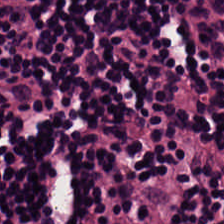Classification — lymphocytic infiltrate.
